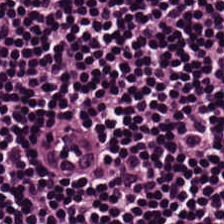Q: What type of tissue is this?
A: This is lymphocytic infiltrate.
